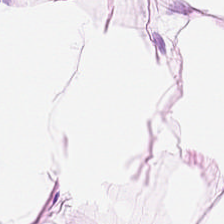H&E. The tissue is fat tissue.
